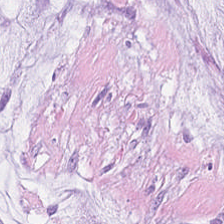224×224 px patch · hematoxylin-and-eosin stained section — Extracellular mucin.
